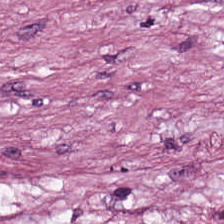FFPE tissue section. H&E-stained tissue section. Tumor stroma.
